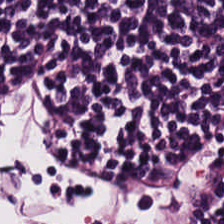FFPE tissue section; H&E-stained tissue section; 20× equivalent magnification — The predominant tissue is lymphocyte aggregate.
